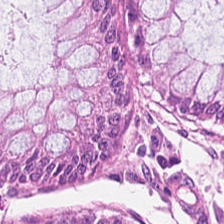Hematoxylin and eosin — Histology — non-neoplastic colon mucosa.
